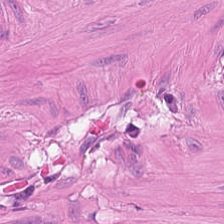This field is muscularis.
